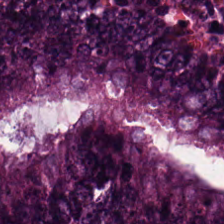Q: What is the predominant tissue type?
A: This is adenocarcinoma.
